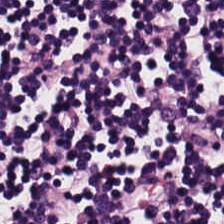Q: What does this patch show?
A: This is lymphoid infiltrate.
